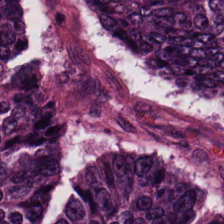H&E-stained tissue section. Tissue: colorectal adenocarcinoma.
